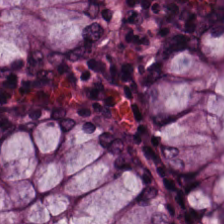Hematoxylin-and-eosin stained section. 0.5 microns per pixel. Formalin-fixed paraffin-embedded section.
This patch shows normal colon mucosa.
